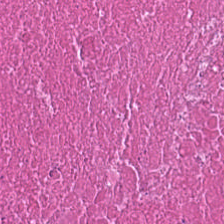Classification: necrotic debris.
